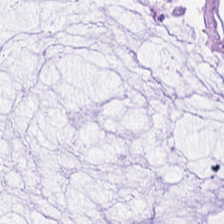Stain: H&E stain.
Tissue class: extracellular mucin.
